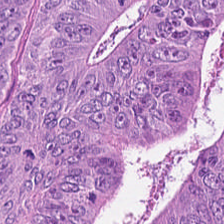Brightfield microscopy · hematoxylin and eosin — Classification — colorectal adenocarcinoma.
